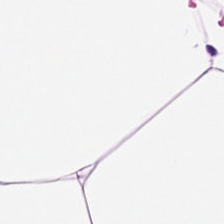H&E stain · 20× equivalent magnification — The tissue class is fat tissue.
